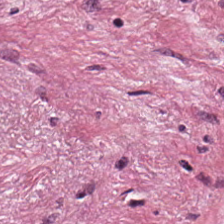Hematoxylin and eosin — Q: What type of tissue is this?
A: The field shows cancer-associated stroma.
